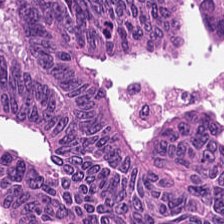Hematoxylin and eosin; 0.5 µm/px; FFPE tissue section — Q: What tissue is shown?
A: Colorectal adenocarcinoma.
